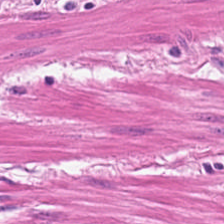Stain: H&E-stained tissue section.
Predominant tissue: smooth muscle.
